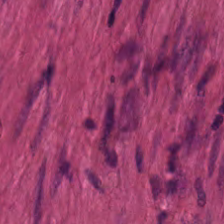0.5 µm per pixel · H&E stain — {"tissue_type": "muscularis"}
